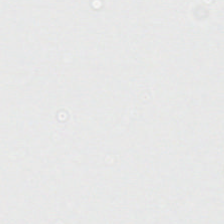224×224 pixel tile. Hematoxylin-and-eosin stained section — {"content": "no tissue"}
